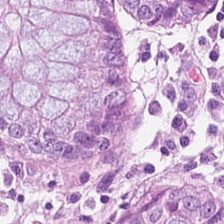H&E-stained tissue section — Tissue type = normal colon mucosa.
